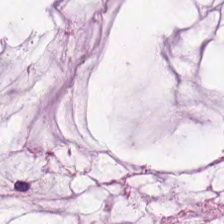H&E patch showing mucin.
